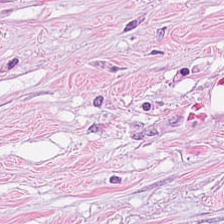The predominant tissue is tumor-associated stroma.
